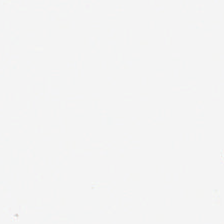Stain: hematoxylin-and-eosin stained section.
Tile size: 224×224 pixel tile.
Content: background.
